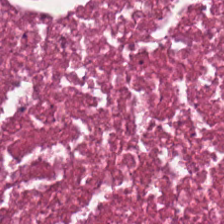0.5 µm per pixel · H&E stain. Necrotic debris.
